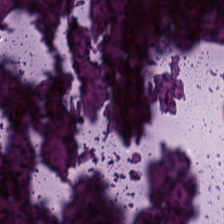H&E-stained tissue section.
Histology → cellular debris.
